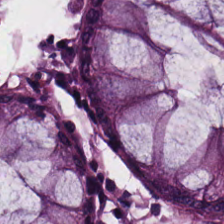H&E. Tissue: benign colonic mucosa.
